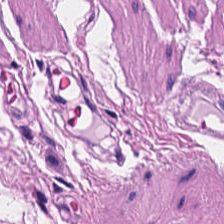Tissue class = muscularis.
